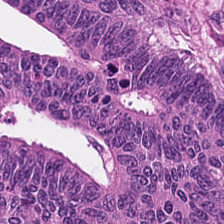Q: What does this patch show?
A: The field shows colorectal adenocarcinoma.
